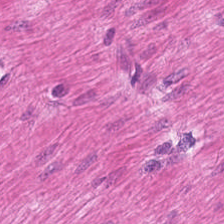Classification: muscularis.
